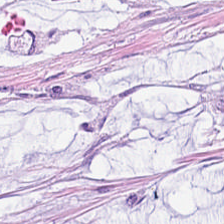H&E stain. 0.5 µm per pixel.
Showing extracellular mucin.
